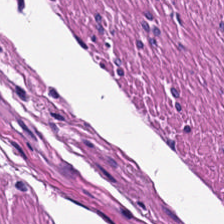Whole-slide-image patch; hematoxylin-and-eosin stained section.
The classification is smooth-muscle tissue.
